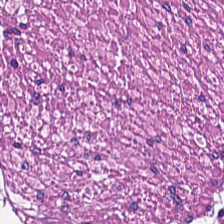H&E — muscularis.
